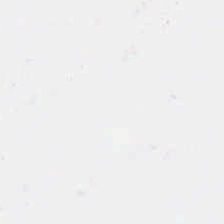H&E-stained tissue section; brightfield microscopy — Content — background (no tissue).
